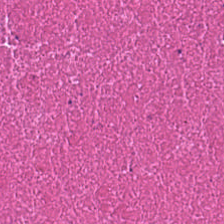0.5 µm per pixel. 224×224 px patch. Hematoxylin and eosin — This patch shows necrotic debris.
